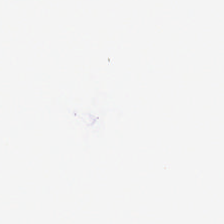Hematoxylin-and-eosin stained section · 0.5 microns per pixel — Field content: background.
